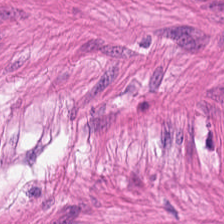Hematoxylin-and-eosin section: muscularis.
